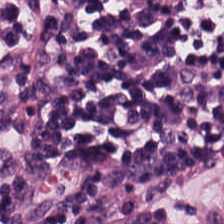This patch shows lymphoid infiltrate.
